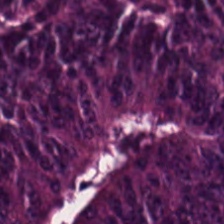H&E — colorectal adenocarcinoma.
